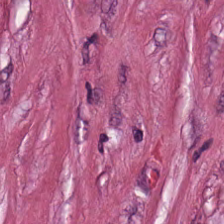H&E-stained tissue section showing tumor stroma.
